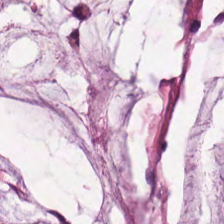Whole-slide-image patch. H&E stain. The tissue here is mucus.
